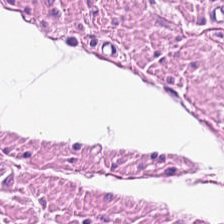{"tissue_type": "smooth-muscle tissue"}
